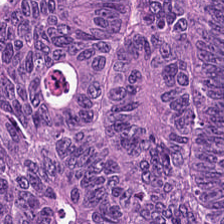Hematoxylin and eosin. The predominant tissue is adenocarcinoma.
